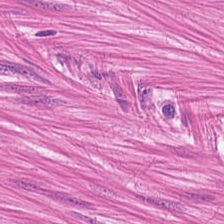H&E-stained tissue section · brightfield microscopy — Histology → smooth muscle.
